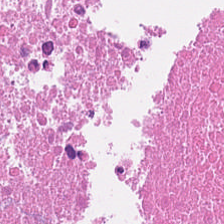H&E stain.
The predominant tissue is debris.
